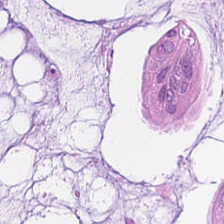Hematoxylin and eosin — Q: What is shown here?
A: It is extracellular mucin.
